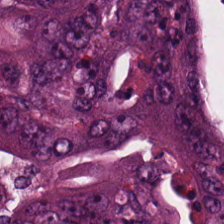H&E-stained tissue section. Predominant tissue = colorectal adenocarcinoma epithelium.
